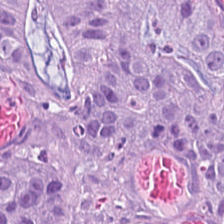Hematoxylin-and-eosin section: adenocarcinoma.
